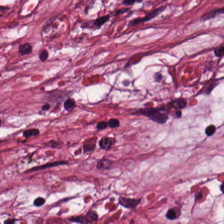Hematoxylin and eosin. 0.5 microns per pixel. FFPE — This field is desmoplastic stroma.
